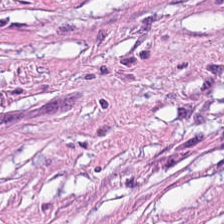Formalin-fixed paraffin-embedded section. Hematoxylin and eosin. The tissue class is tumor-associated stroma.
